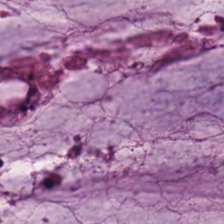Hematoxylin-and-eosin stained section. Q: What tissue is shown?
A: It is mucus.
